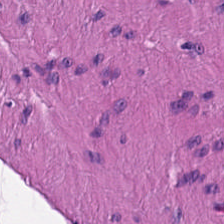H&E. Classification: smooth muscle.
